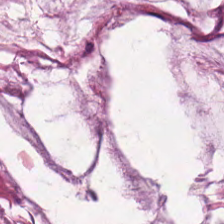H&E stain.
This field is mucus.
